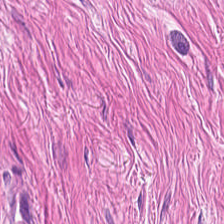Brightfield; H&E. Q: What is shown here?
A: This is smooth muscle.
